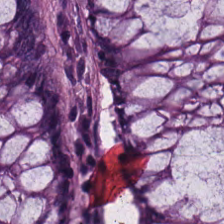Brightfield microscopy. H&E stain. Formalin-fixed paraffin-embedded section. Showing benign colonic mucosa.
